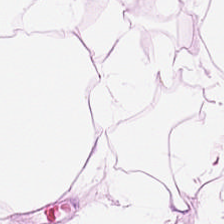Stain: H&E stain.
Tissue type: adipose tissue.
